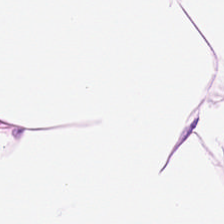Stain: H&E.
Acquisition: brightfield microscopy.
Predominant tissue: adipose.
